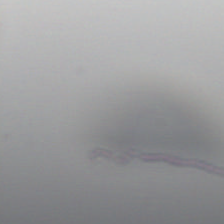This field is background (no tissue).
